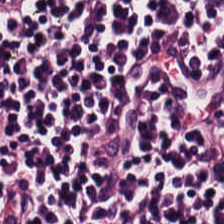H&E stain; 0.5 µm/px — The tissue here is lymphocytic infiltrate.
